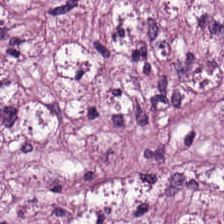H&E. Tissue = desmoplastic stroma.
